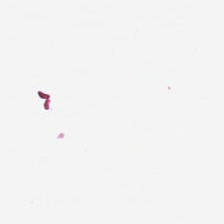Empty field — empty background.
